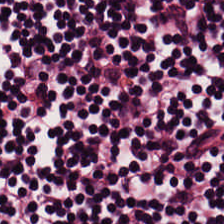The classification is lymphocyte aggregate.
